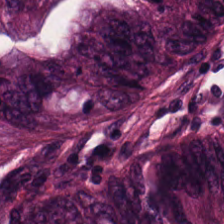H&E · whole-slide-image patch · 0.5 microns per pixel. Predominantly malignant epithelium.
